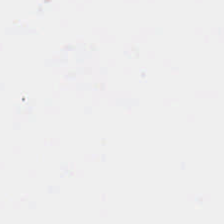Stain: H&E-stained tissue section.
Classification: background.
